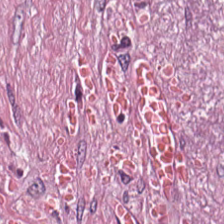Stain: H&E-stained tissue section.
Classification: cancer-associated stroma.
